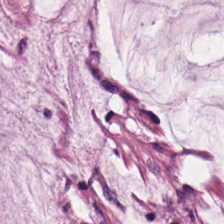H&E.
Impression — extracellular mucin.
